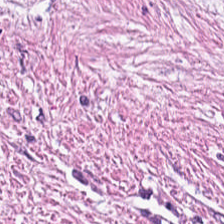H&E — Classification — desmoplastic stroma.
